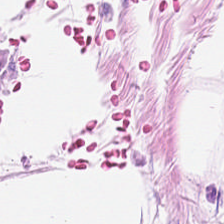Hematoxylin and eosin; 20× equivalent magnification.
{"tissue_type": "adipose tissue"}
